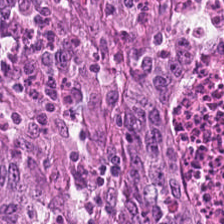{"tissue_type": "adenocarcinoma"}
